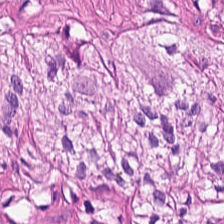H&E.
The predominant tissue is smooth-muscle tissue.
